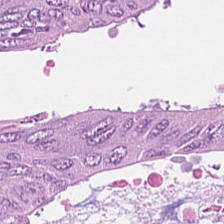Hematoxylin-and-eosin section: malignant epithelium.
